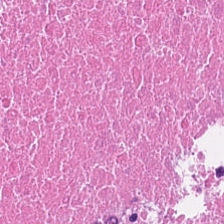Brightfield microscopy. 0.5 µm/px. Hematoxylin-and-eosin stained section. Tissue class — cellular debris.
